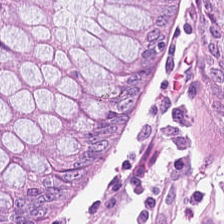Hematoxylin-and-eosin stained section.
Predominant tissue = benign colonic mucosa.
